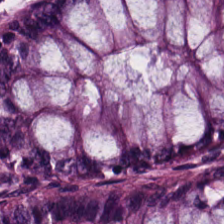Stain: hematoxylin and eosin.
Tissue: normal colonic mucosa.
